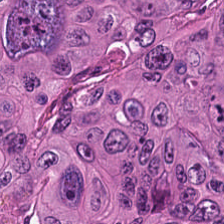H&E-stained tissue section — The classification is malignant epithelium.
